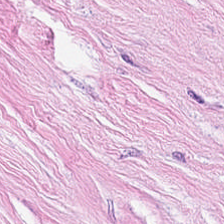H&E-stained tissue section. Classification — tumor-associated stroma.
